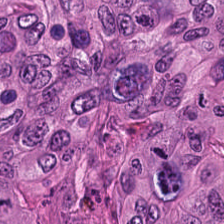The classification is malignant epithelium.
